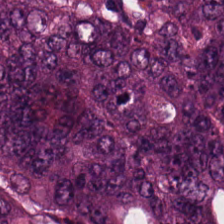0.5 µm per pixel; H&E stain — The predominant tissue is adenocarcinoma.
